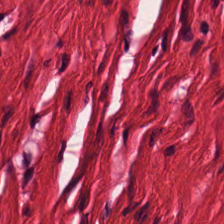Hematoxylin-and-eosin section: muscularis.
